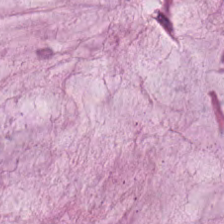H&E-stained tissue section; 224×224 px tile; formalin-fixed paraffin-embedded section.
Predominant tissue — mucin.
